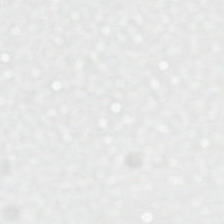Q: What does this patch show?
A: It is empty background.
